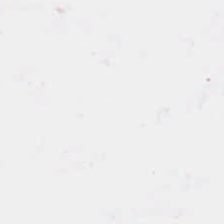H&E; 20× equivalent magnification.
The content is empty background.
